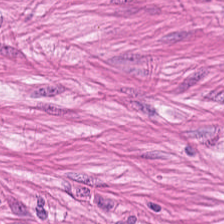H&E-stained tissue section. Brightfield. 224×224 px tile.
Histology — smooth-muscle tissue.
